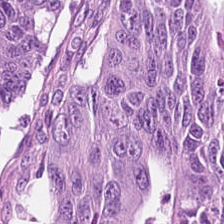Hematoxylin-and-eosin stained section. Tissue: tumor epithelium.
